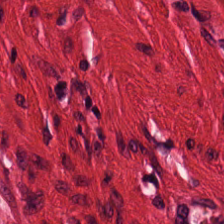H&E — Q: What does this patch show?
A: Muscularis.
